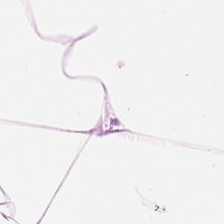Hematoxylin-and-eosin stained section; FFPE tissue section.
Q: What does this patch show?
A: It is adipocytes.
